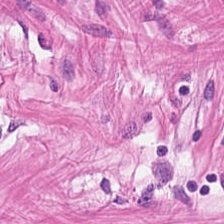Hematoxylin-and-eosin section: smooth-muscle tissue.
